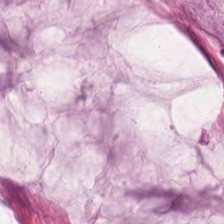Stain: H&E-stained tissue section.
Classification: extracellular mucin.
